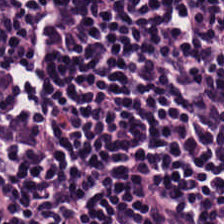Whole-slide-image patch · H&E.
{"tissue_type": "lymphocyte aggregate"}
